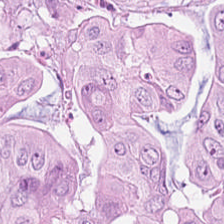Tissue class = tumor epithelium.
